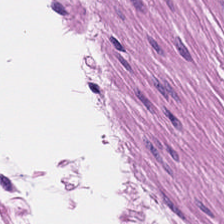Hematoxylin-and-eosin stained section — Smooth-muscle tissue.
